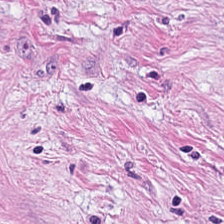H&E-stained tissue section.
Tissue — tumor-associated stroma.
